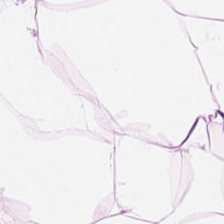The predominant tissue is adipose.
